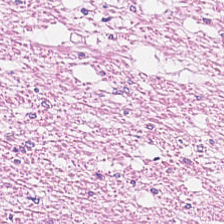Stain: hematoxylin-and-eosin stained section.
Tissue: muscularis.
